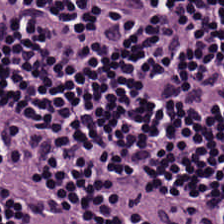Q: Identify the tissue.
A: It is lymphocytes.
